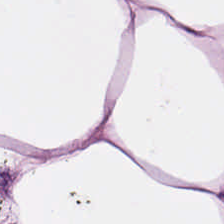Hematoxylin and eosin. Finding — adipocytes.
